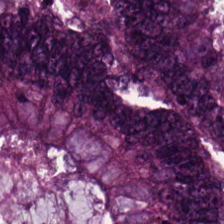H&E; 224×224 px tile; FFPE — Classification = colorectal adenocarcinoma epithelium.
